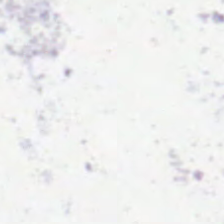Hematoxylin-and-eosin stained section.
Empty field — empty background.
